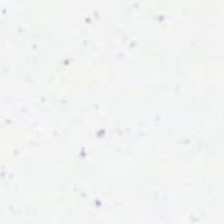Stain: H&E stain.
Classification: no tissue.
